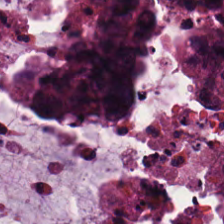H&E stain · 224×224 pixel tile — Mucus.
